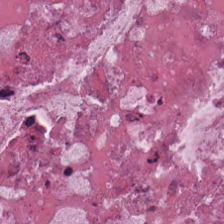H&E stain — Q: What tissue type is shown here?
A: It is necrotic debris.
